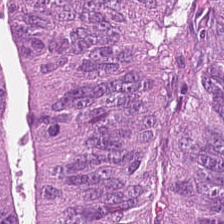H&E · brightfield.
Colorectal adenocarcinoma epithelium.
